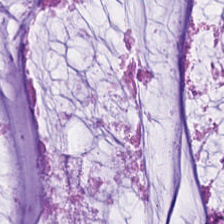H&E — Classification: mucin.
